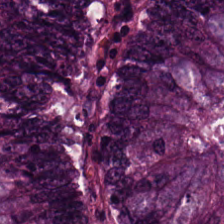H&E patch showing tumor epithelium.
